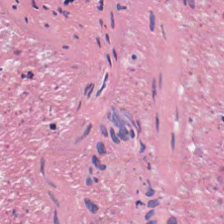Hematoxylin-and-eosin stained section — Predominantly cellular debris.
